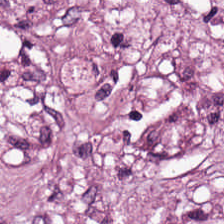Tissue type — desmoplastic stroma.
